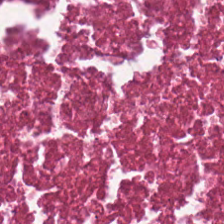H&E stain.
This field is cellular debris.
